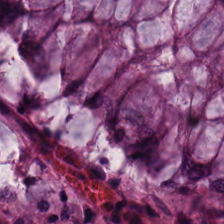H&E-stained tissue section showing normal colonic mucosa.
